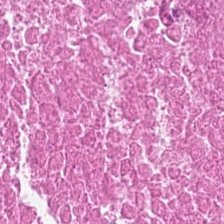H&E-stained tissue section — The predominant tissue is necrotic debris.
